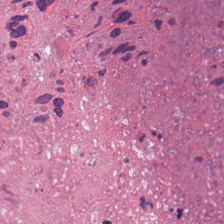Hematoxylin-and-eosin stained section — Finding — debris.
